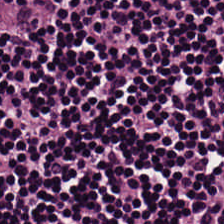Stain: hematoxylin-and-eosin stained section.
Tissue type: lymphocytic infiltrate.
